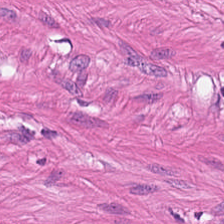Hematoxylin-and-eosin stained section; 0.5 µm/px.
This patch shows smooth muscle.
